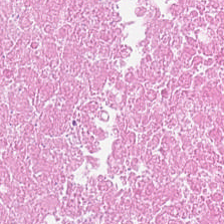Histology → debris.
